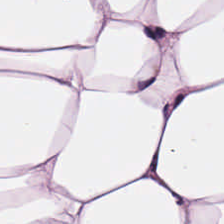H&E stain.
This field is fat tissue.
